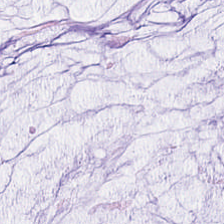224×224 px tile · hematoxylin and eosin.
Tissue type — mucin.
